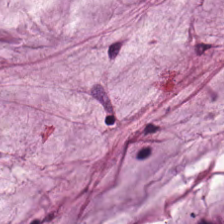Hematoxylin-and-eosin stained section. Predominant tissue = extracellular mucin.
